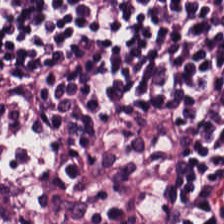H&E — Predominant tissue — lymphocytes.
